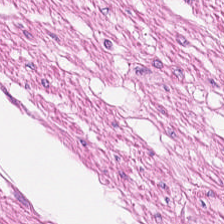H&E stain. Q: Classify this patch.
A: Smooth-muscle tissue.
